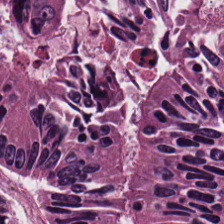H&E.
Colorectal adenocarcinoma epithelium.
